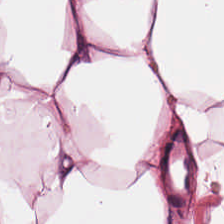Classification = fat tissue.
